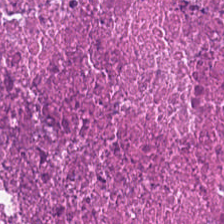H&E. This patch shows cellular debris.
